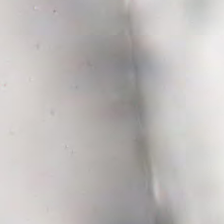H&E-stained tissue section — No tissue present; background only.
